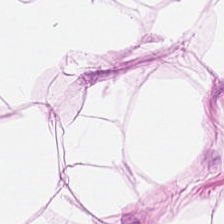224×224 px patch; hematoxylin-and-eosin stained section.
Q: Classify this patch.
A: The field shows adipose.
